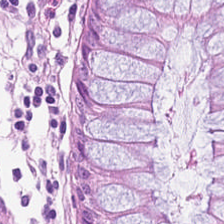Hematoxylin-and-eosin stained section; 224×224 px patch.
Tissue class = normal colonic mucosa.
